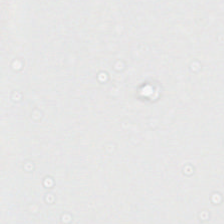This patch shows background (no tissue).
